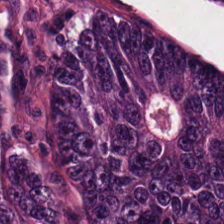The predominant tissue is colorectal adenocarcinoma.
